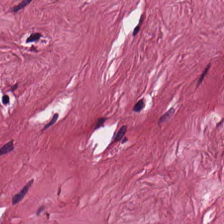Q: What is shown in this field?
A: The field shows cancer-associated stroma.
